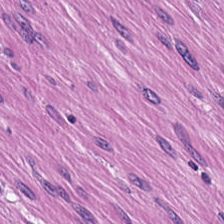H&E — Tissue type: muscularis.
